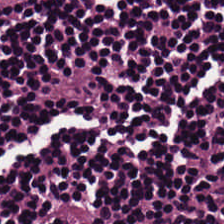H&E stain; whole-slide-image patch.
Tissue class: lymphoid infiltrate.
